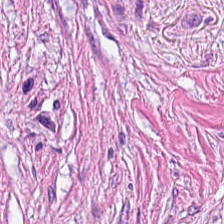224×224 pixel tile. Whole-slide-image patch. Hematoxylin and eosin.
{"tissue_type": "cancer-associated stroma"}
